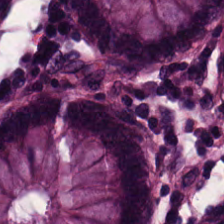Q: What is the predominant tissue type?
A: The field shows normal colonic mucosa.
